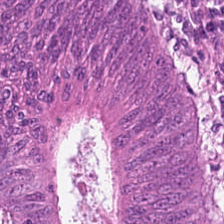Predominant tissue = colorectal adenocarcinoma epithelium.
